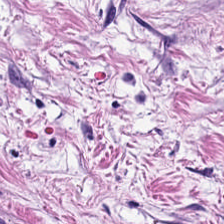H&E-stained tissue section — Predominantly tumor stroma.
